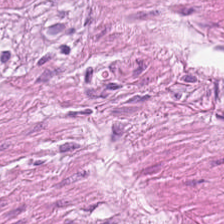Hematoxylin-and-eosin stained section.
Impression → muscularis.
